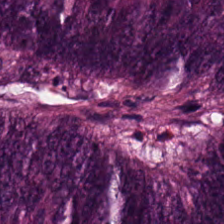Q: Classify this patch.
A: Colorectal adenocarcinoma.
